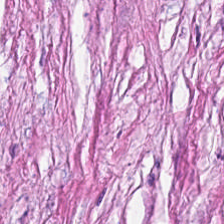H&E · whole-slide-image patch · 224×224 px tile. Tissue type = cancer-associated stroma.
